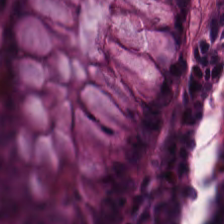0.5 µm per pixel. Hematoxylin-and-eosin stained section — Tissue type: normal colonic mucosa.
